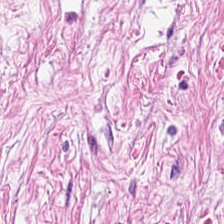H&E stain. Predominant tissue — tumor-associated stroma.
